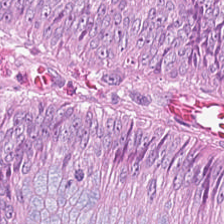Tissue: malignant epithelium.
